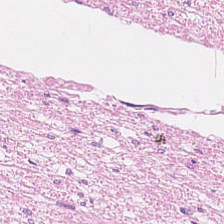Stain: H&E-stained tissue section.
Acquisition: brightfield.
Tile size: 224×224 px patch.
Tissue class: smooth-muscle tissue.
